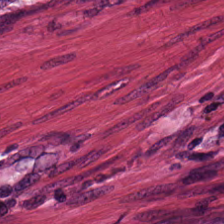Stain: H&E.
Tissue type: tumor stroma.
